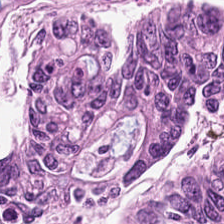H&E — Tissue type = tumor epithelium.
